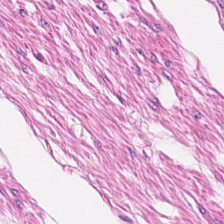H&E. The tissue here is muscularis.
